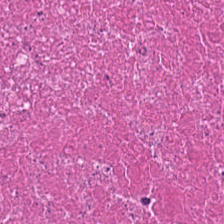Stain: H&E.
Tissue type: cellular debris.
